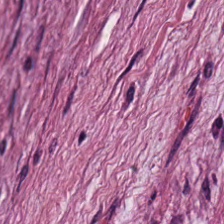Histology → tumor stroma.
